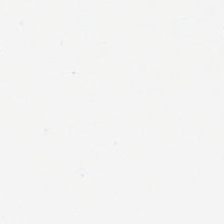H&E stain.
Q: What is shown here?
A: The field shows empty background.
